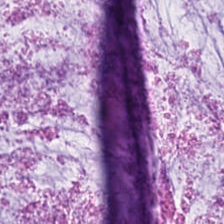H&E.
{"tissue_type": "mucin"}
